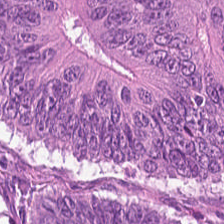H&E.
Showing malignant epithelium.
